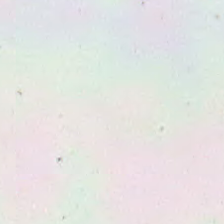Finding → empty background.
